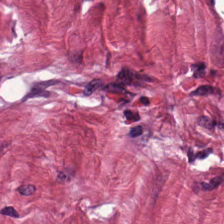Classification: desmoplastic stroma.
